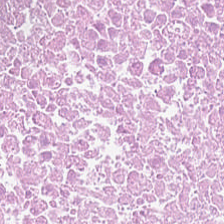Hematoxylin and eosin.
Tissue class — cellular debris.
